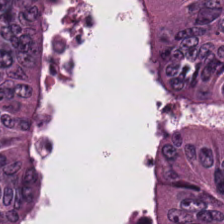Stain: H&E stain.
Tissue class: malignant epithelium.
